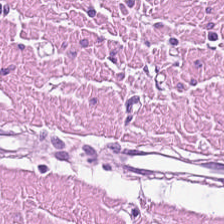0.5 µm/px; H&E-stained tissue section — The tissue here is muscularis.
